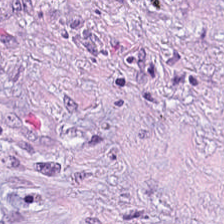H&E-stained tissue section — Showing cancer-associated stroma.
